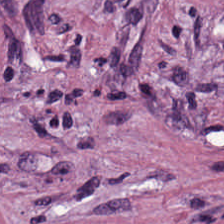Tissue type = tumor-associated stroma.
